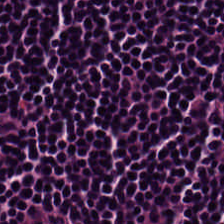Predominantly lymphocytic infiltrate.
